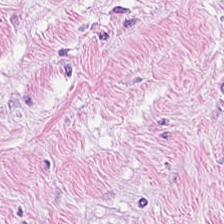224×224 px tile. Hematoxylin-and-eosin stained section — Classification — desmoplastic stroma.
